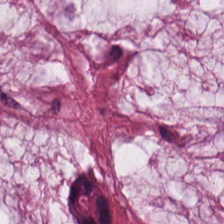Stain: H&E-stained tissue section.
Predominant tissue: mucin.
